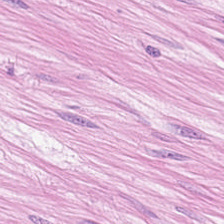H&E stain.
Smooth-muscle tissue.
